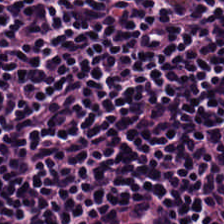The tissue class is lymphocyte aggregate.
